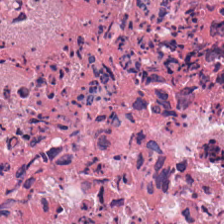224×224 px tile; hematoxylin-and-eosin stained section.
This field is necrotic debris.
